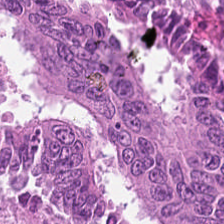Stain: H&E.
Tile size: 224×224 px patch.
Predominant tissue: tumor epithelium.
